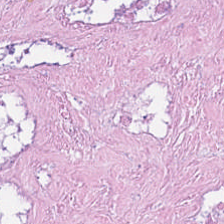{"tissue_type": "cellular debris"}
